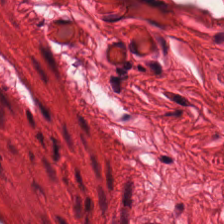Brightfield microscopy; H&E. The predominant tissue is muscularis.
